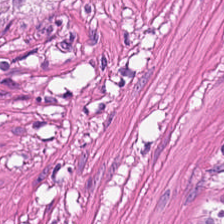H&E. 0.5 microns per pixel. Finding — smooth muscle.
